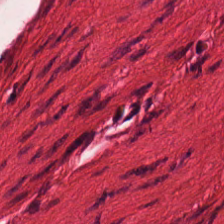0.5 µm/px. FFPE. Hematoxylin-and-eosin stained section.
Q: Classify this patch.
A: This is smooth muscle.
